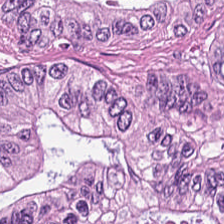Tissue type — adenocarcinoma.
